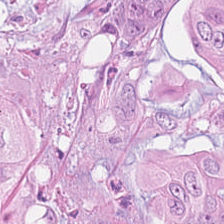Stain: hematoxylin and eosin.
Acquisition: whole-slide-image patch.
Predominant tissue: tumor epithelium.
